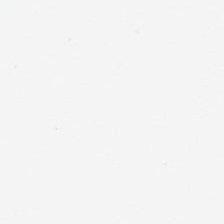Empty background.
